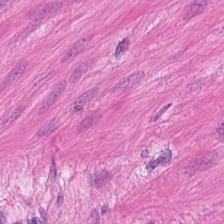Hematoxylin-and-eosin stained section.
Tissue class — smooth-muscle tissue.
